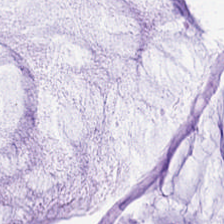224×224 px patch; hematoxylin and eosin.
{"tissue_type": "extracellular mucin"}
